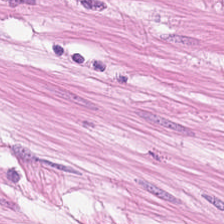H&E-stained tissue section; 0.5 µm/px — Showing muscularis.
